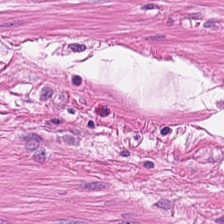Hematoxylin and eosin.
The tissue is muscularis.
